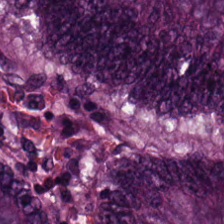H&E — This patch shows colorectal adenocarcinoma.
